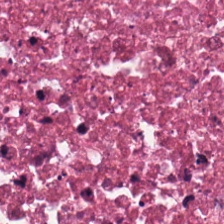H&E-stained tissue section. The predominant tissue is necrotic debris.
